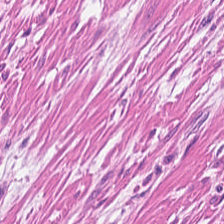Q: What tissue is shown?
A: Smooth muscle.
